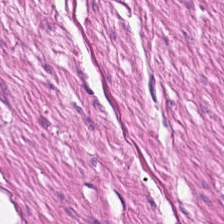Predominant tissue: smooth muscle.
